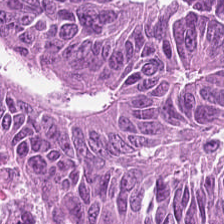Tissue type: tumor epithelium.
